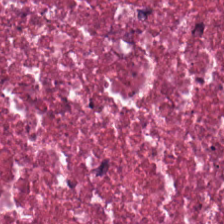Hematoxylin-and-eosin stained section; 224×224 pixel tile — Tissue type — necrotic debris.
